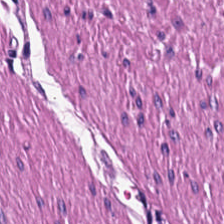H&E — Predominant tissue: muscularis.
